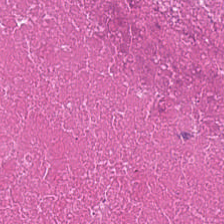224×224 px patch. FFPE. H&E-stained tissue section — Q: What tissue is shown?
A: Necrotic debris.
